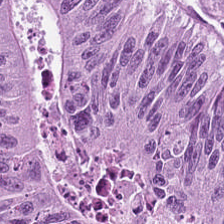H&E-stained tissue section showing tumor epithelium.
